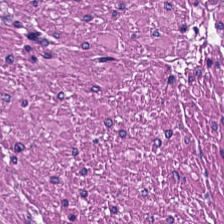H&E stain. Histology → smooth muscle.
